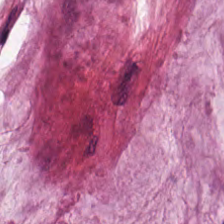Hematoxylin and eosin — Predominantly mucus.
